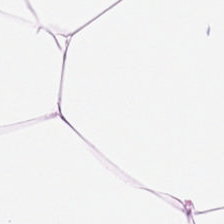H&E stain; formalin-fixed paraffin-embedded section.
The tissue type is adipocytes.
